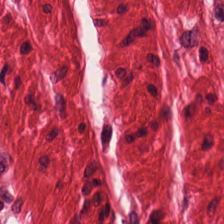Brightfield microscopy; 224×224 pixel tile; hematoxylin-and-eosin stained section — Q: Classify this patch.
A: The field shows smooth muscle.
